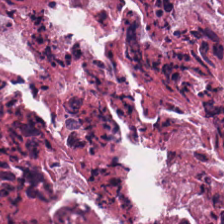Hematoxylin-and-eosin stained section.
Q: What type of tissue is this?
A: Necrotic debris.
